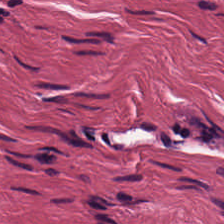Hematoxylin and eosin. Brightfield. Q: Identify the tissue.
A: This is cancer-associated stroma.
